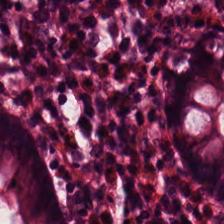H&E patch showing non-neoplastic colon mucosa.
